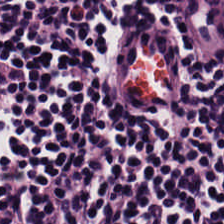The classification is lymphocytic infiltrate.
